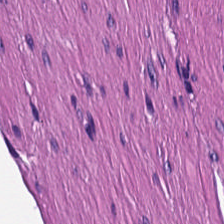Tissue: smooth muscle.
